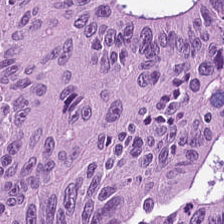H&E stain. This field is malignant epithelium.
